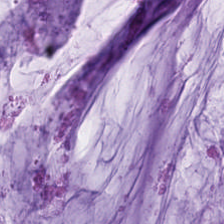H&E — extracellular mucin.
